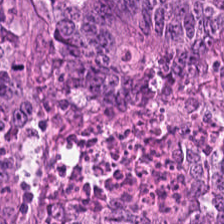Hematoxylin-and-eosin stained section. Histology — colorectal adenocarcinoma.
